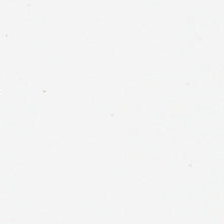H&E-stained tissue section. Field content — empty background.
